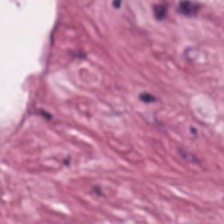Hematoxylin-and-eosin stained section · whole-slide-image patch. Tumor-associated stroma.
